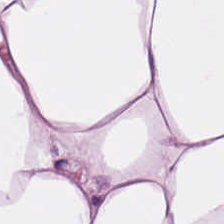0.5 µm per pixel · H&E-stained tissue section. The tissue type is adipose.
